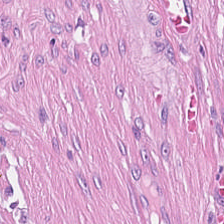This patch shows tumor-associated stroma.
